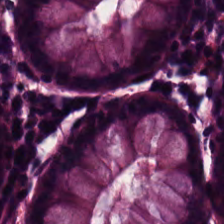Predominant tissue = normal colon mucosa.
